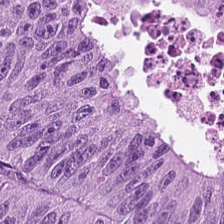H&E stain.
The predominant tissue is colorectal adenocarcinoma epithelium.
